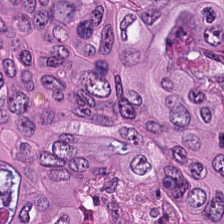Malignant epithelium.
